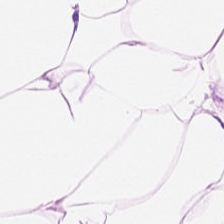H&E; 224×224 px tile.
Predominant tissue — adipose.
